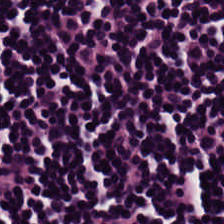Brightfield microscopy; hematoxylin-and-eosin stained section; FFPE — Lymphocytic infiltrate.
